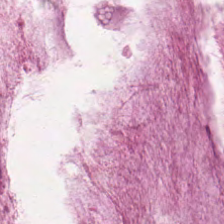H&E-stained tissue section.
Q: What is shown here?
A: It is mucus.
